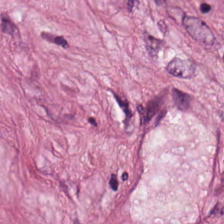H&E-stained section; the field shows tumor stroma.
